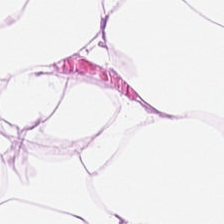Hematoxylin-and-eosin stained section; 224×224 px tile; brightfield.
Histology — fat tissue.
